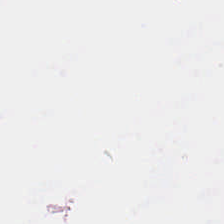H&E-stained tissue section. Empty field — background (no tissue).
